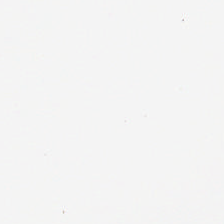Histology — empty background.
